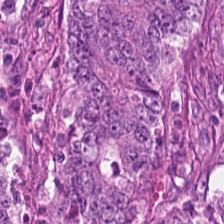H&E.
Tissue type: colorectal adenocarcinoma epithelium.
